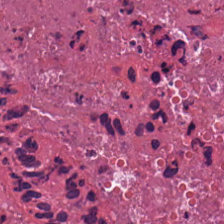H&E stain. Predominant tissue — debris.
